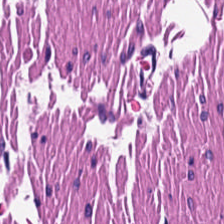H&E-stained tissue section — Q: Identify the tissue.
A: Muscularis.
